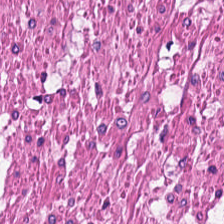H&E stain. 224×224 pixel tile.
This field is smooth-muscle tissue.
